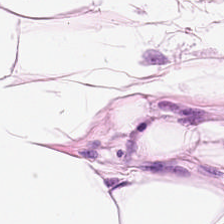H&E stain · WSI patch.
This patch shows fat tissue.
